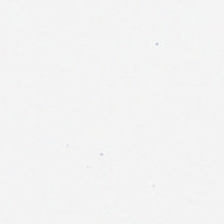Hematoxylin-and-eosin stained section; brightfield; FFPE. Field content — no tissue.
